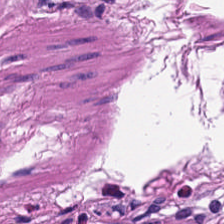Hematoxylin and eosin.
Predominantly smooth-muscle tissue.
